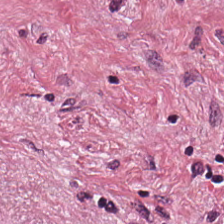H&E-stained tissue section — Predominant tissue = tumor-associated stroma.
